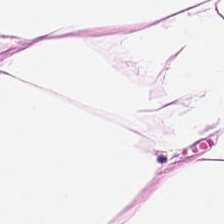Hematoxylin-and-eosin stained section.
Tissue type = adipose.
